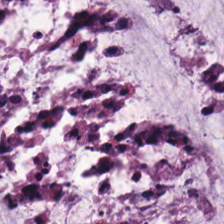H&E-stained tissue section. Predominantly mucus.
